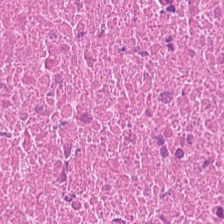H&E stain. 0.5 µm/px — Predominant tissue = debris.
